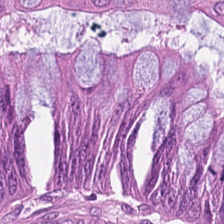Q: What is shown in this field?
A: Malignant epithelium.
